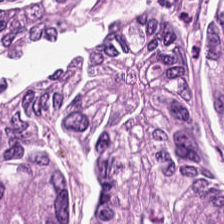Hematoxylin-and-eosin section: tumor epithelium.
